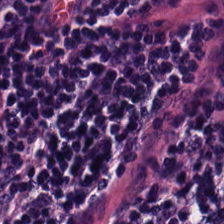Hematoxylin-and-eosin stained section. Tissue type — lymphocytic infiltrate.
